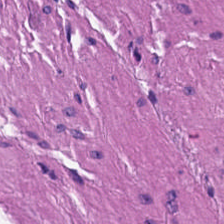Brightfield microscopy. H&E stain. 224×224 px patch. Histology — smooth muscle.
